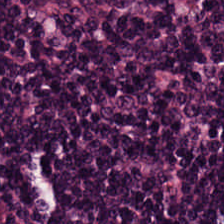Stain: H&E stain.
Tissue type: lymphocytic infiltrate.
